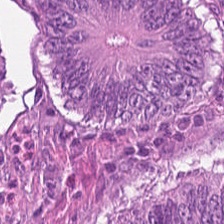Formalin-fixed paraffin-embedded section. H&E-stained tissue section. 0.5 µm/px. Predominantly tumor epithelium.
